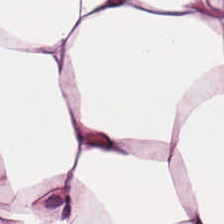Hematoxylin and eosin.
The classification is adipocytes.
